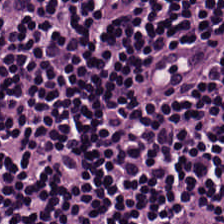Hematoxylin-and-eosin stained section. Classification = lymphocytic infiltrate.
